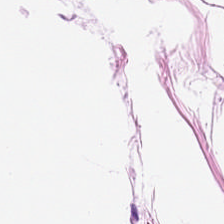Stain: hematoxylin and eosin.
Resolution: 0.5 microns per pixel.
Tissue type: adipose tissue.
